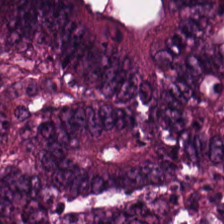H&E-stained tissue section. 224×224 pixel tile.
Malignant epithelium.
